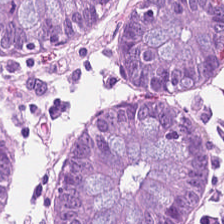Hematoxylin-and-eosin stained section.
Predominant tissue: non-neoplastic colon mucosa.
